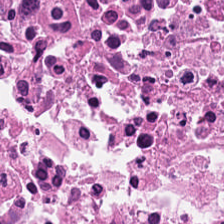Brightfield microscopy; H&E stain. Classification: cellular debris.
